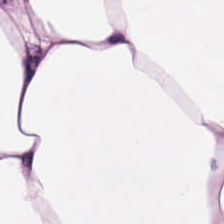Whole-slide-image patch · H&E stain · 224×224 pixel tile. Tissue: fat tissue.
